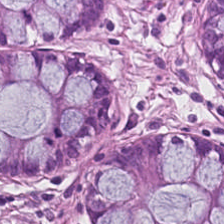Q: What does this patch show?
A: This is normal colonic mucosa.
